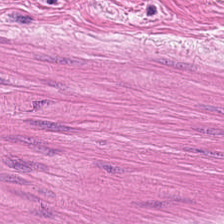Hematoxylin and eosin. Histology — smooth-muscle tissue.
